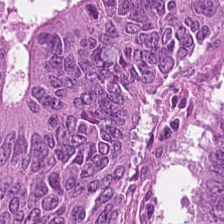H&E stain. Histology — colorectal adenocarcinoma epithelium.
